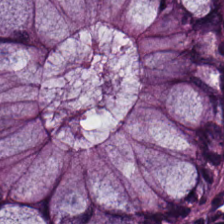Hematoxylin-and-eosin section: normal colonic mucosa.
